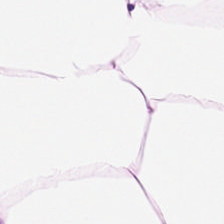Hematoxylin-and-eosin stained section.
This patch shows adipose.
